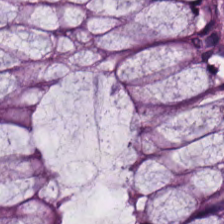Whole-slide-image patch · hematoxylin and eosin · 224×224 pixel tile — Q: What is the predominant tissue type?
A: It is non-neoplastic colon mucosa.
